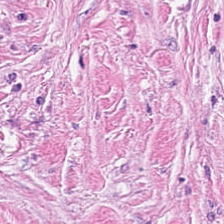Hematoxylin-and-eosin stained section; 0.5 µm/px.
Histology — desmoplastic stroma.
